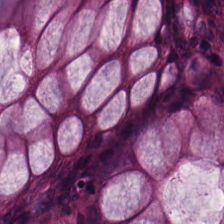Q: What type of tissue is this?
A: It is non-neoplastic colon mucosa.
